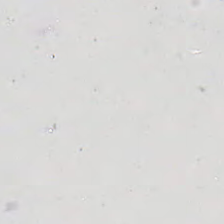H&E-stained tissue section — Empty field — background (no tissue).
